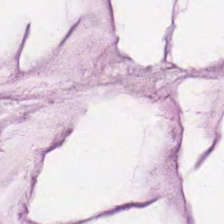H&E stain; 224×224 px patch.
Classification — extracellular mucin.
